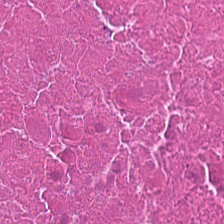0.5 µm per pixel; 224×224 pixel tile; H&E stain.
Q: What tissue type is shown here?
A: This is necrotic debris.
